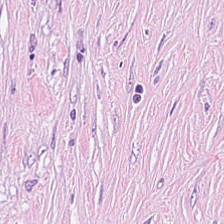Stain: hematoxylin-and-eosin stained section.
Preparation: FFPE tissue section.
Resolution: 0.5 µm per pixel.
Tissue class: desmoplastic stroma.
